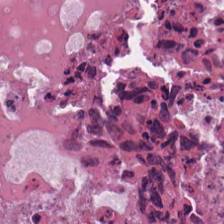0.5 microns per pixel; hematoxylin and eosin. Q: What tissue type is shown here?
A: The field shows debris.
